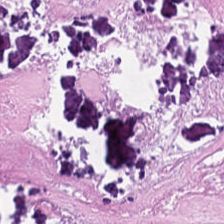Formalin-fixed paraffin-embedded section · H&E-stained tissue section. Cellular debris.
